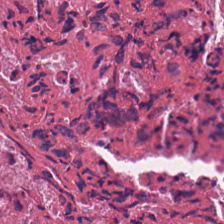H&E — This patch shows debris.
